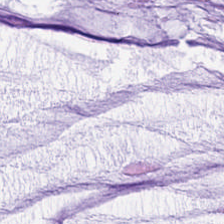Hematoxylin-and-eosin stained section — Tissue type — mucin.
